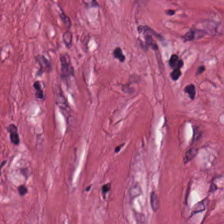Stain: H&E stain.
Resolution: 0.5 microns per pixel.
Tissue: tumor-associated stroma.
